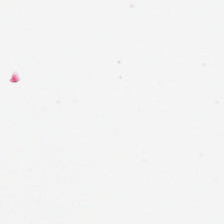0.5 microns per pixel · H&E-stained tissue section. Empty field — no tissue.
